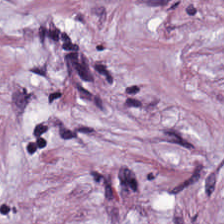224×224 px patch. Hematoxylin and eosin. Q: What is the predominant tissue type?
A: The field shows tumor-associated stroma.
